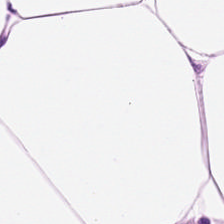H&E-stained tissue section. Showing adipocytes.
